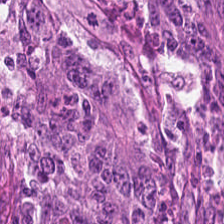H&E stain — Q: What does this patch show?
A: This is tumor epithelium.
